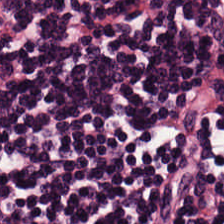Stain: hematoxylin and eosin.
Acquisition: brightfield microscopy.
Tissue: lymphocyte aggregate.
